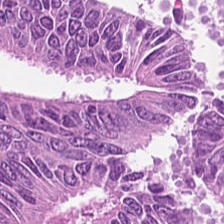Hematoxylin-and-eosin stained section; 0.5 µm/px — Tissue: adenocarcinoma.
